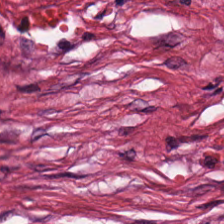Finding → desmoplastic stroma.
